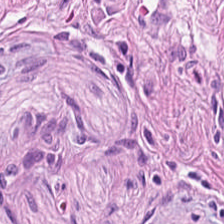Formalin-fixed paraffin-embedded section; H&E; 224×224 px patch.
Tissue class: muscularis.
